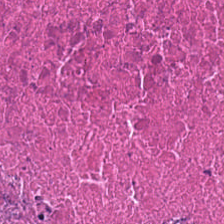This patch shows cellular debris.
